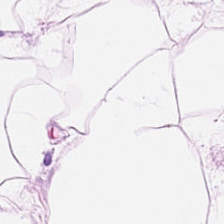H&E stain.
Showing adipose tissue.
